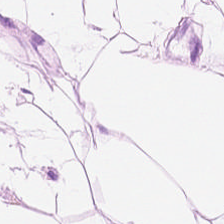Q: Classify this patch.
A: This is adipocytes.
